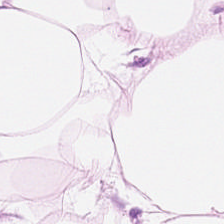Stain: H&E-stained tissue section.
Tile size: 224×224 pixel tile.
Tissue class: adipose.
